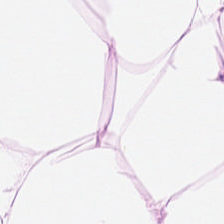FFPE; H&E stain. {"tissue_type": "fat tissue"}
